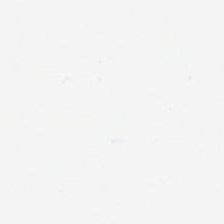0.5 microns per pixel · H&E-stained tissue section.
{"content": "empty background"}
